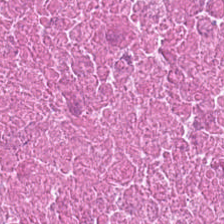Finding → cellular debris.
